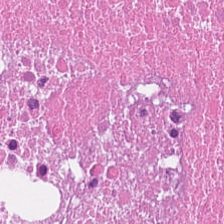H&E stain. Q: What is the predominant tissue type?
A: The field shows debris.
